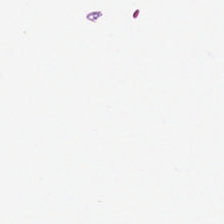H&E. This field is background (no tissue).
